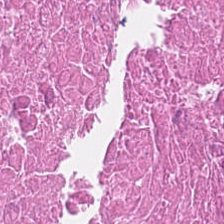0.5 microns per pixel; hematoxylin-and-eosin stained section.
Q: What is shown in this field?
A: The field shows debris.
